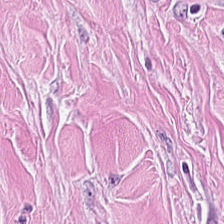Hematoxylin-and-eosin stained section.
{"tissue_type": "desmoplastic stroma"}
